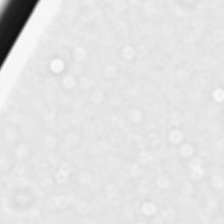No tissue present; background only.
